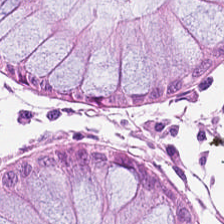Stain: hematoxylin and eosin.
Preparation: formalin-fixed paraffin-embedded section.
Tile size: 224×224 px tile.
Classification: benign colonic mucosa.
